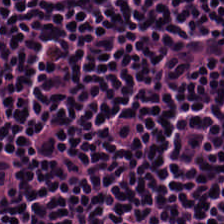Hematoxylin-and-eosin stained section. Impression → lymphocyte aggregate.
